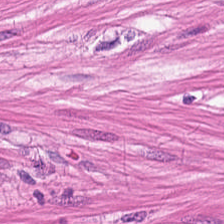H&E. 224×224 pixel tile. 0.5 microns per pixel.
Tissue type — smooth muscle.
